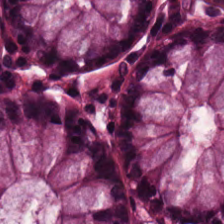Hematoxylin-and-eosin stained section · brightfield.
Tissue class: non-neoplastic colon mucosa.
